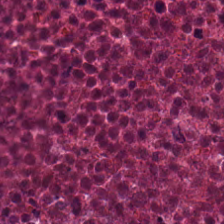0.5 µm per pixel; FFPE tissue section; H&E-stained tissue section. Showing necrotic debris.
